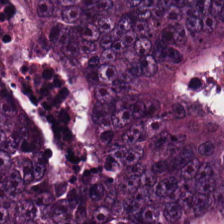The predominant tissue is tumor epithelium.
